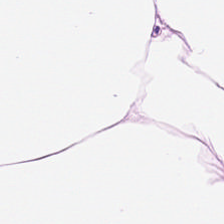224×224 px tile; FFPE tissue section; H&E stain.
Predominant tissue — adipose.
